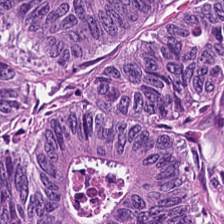Hematoxylin and eosin — Q: What does this patch show?
A: It is tumor epithelium.
